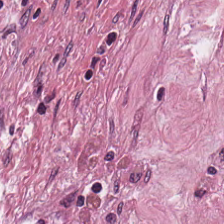H&E-stained tissue section.
Tissue class — tumor-associated stroma.
